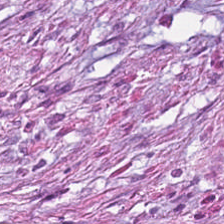FFPE · hematoxylin-and-eosin stained section · 224×224 px tile — Showing tumor-associated stroma.
